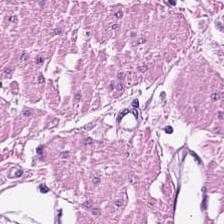H&E — The tissue here is smooth muscle.
